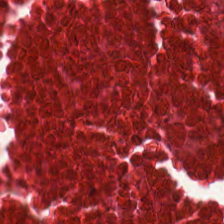Tissue type — necrotic debris.
